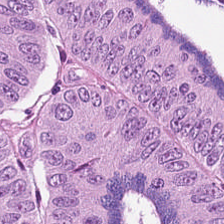Q: What is shown here?
A: It is tumor epithelium.
